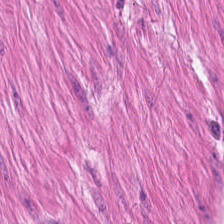H&E-stained tissue section. Formalin-fixed paraffin-embedded section.
The tissue here is muscularis.
